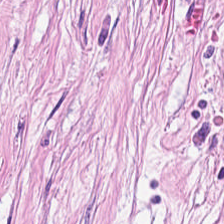Q: Identify the tissue.
A: Tumor-associated stroma.
